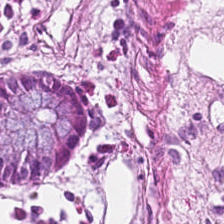Hematoxylin-and-eosin stained section. Q: Identify the tissue.
A: The field shows benign colonic mucosa.
